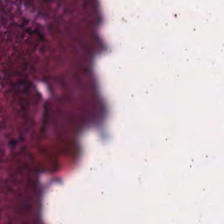H&E stain. Whole-slide-image patch. Q: What does this patch show?
A: This is necrotic debris.
